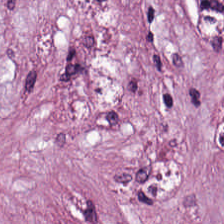H&E stain. Q: Classify this patch.
A: This is desmoplastic stroma.
